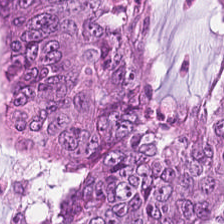Brightfield microscopy; hematoxylin and eosin — Predominant tissue: malignant epithelium.
